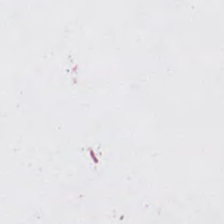Background — no tissue in this field.
